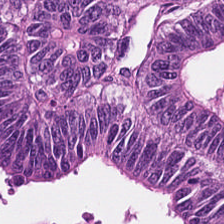FFPE tissue section; 224×224 pixel tile; H&E-stained tissue section — Classification: colorectal adenocarcinoma epithelium.
